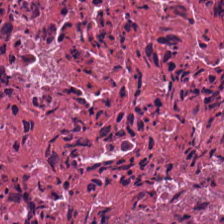H&E-stained tissue section showing necrotic debris.
